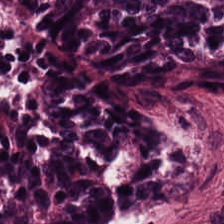H&E stain — The classification is tumor epithelium.
